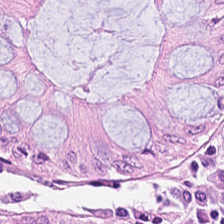H&E stain.
Tissue: normal colon mucosa.
